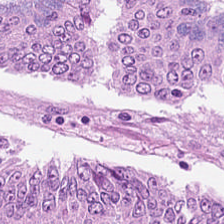H&E stain — Tissue class: colorectal adenocarcinoma.
